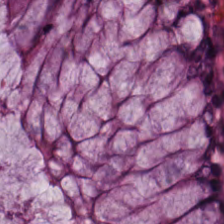H&E-stained tissue section. Showing normal colonic mucosa.
